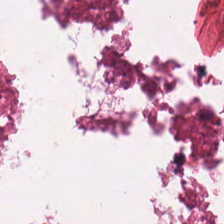H&E. Finding — necrotic debris.
